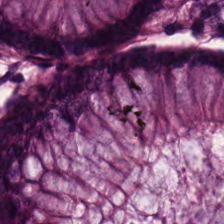H&E. The tissue here is normal colon mucosa.
